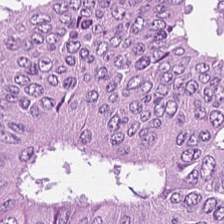FFPE tissue section · H&E stain. Q: What is shown here?
A: The field shows adenocarcinoma.
